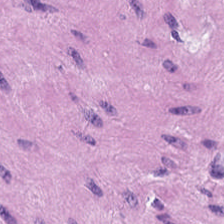20× equivalent magnification · hematoxylin and eosin.
Predominantly muscularis.
